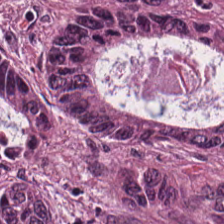H&E. Brightfield microscopy. Tissue class — adenocarcinoma.
